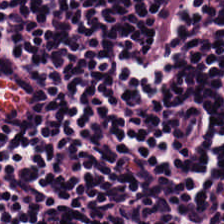Formalin-fixed paraffin-embedded section · H&E stain — Q: What is shown in this field?
A: It is lymphocytes.
